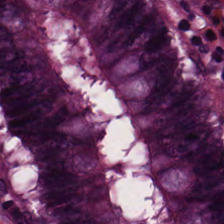Brightfield. Hematoxylin-and-eosin stained section — Tissue — normal colonic mucosa.
